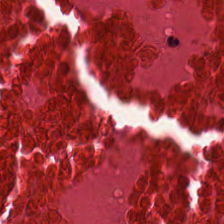FFPE; H&E — Q: What is the predominant tissue type?
A: Necrotic debris.
